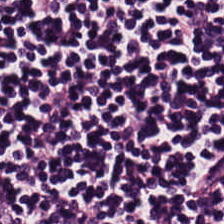H&E stain. Formalin-fixed paraffin-embedded section. 224×224 px patch — Finding — lymphoid infiltrate.
